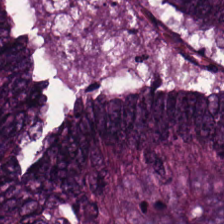H&E stain. Showing adenocarcinoma.
